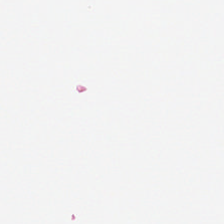Q: Classify this patch.
A: It is background.
